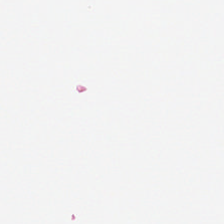Q: Classify this patch.
A: It is background.
